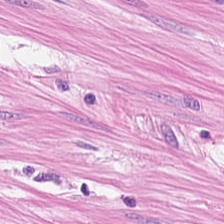Brightfield · 224×224 px tile · H&E — Q: Classify this patch.
A: The field shows smooth muscle.
